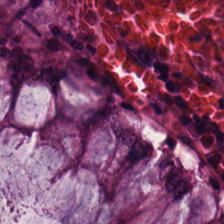0.5 microns per pixel. H&E — Predominantly benign colonic mucosa.
